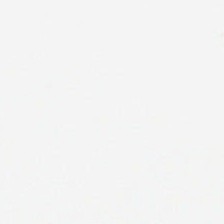Q: Classify this patch.
A: The field shows background.
